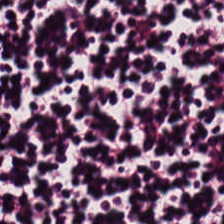Hematoxylin-and-eosin stained section. Brightfield microscopy — Predominantly lymphoid infiltrate.
